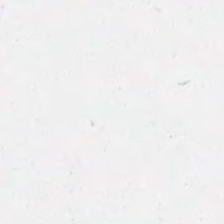H&E-stained tissue section. The content is empty background.
